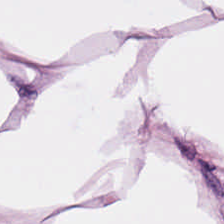H&E. The predominant tissue is adipocytes.
